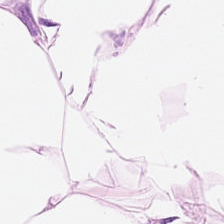Hematoxylin and eosin — Showing adipose tissue.
